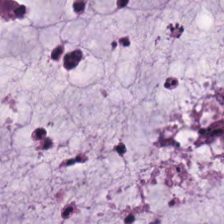0.5 µm/px · hematoxylin and eosin · 224×224 pixel tile. This patch shows mucin.
